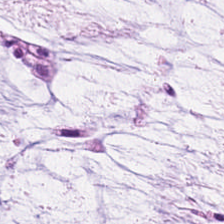Hematoxylin and eosin; WSI patch.
This patch shows mucin.
